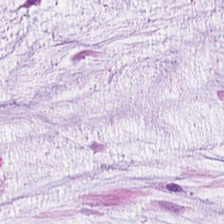Tissue type: mucus.
